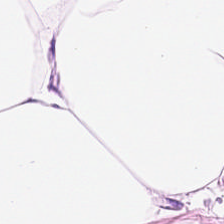H&E stain. Brightfield microscopy. 0.5 µm/px. Q: What tissue type is shown here?
A: It is adipocytes.
